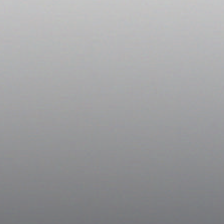Hematoxylin and eosin.
Q: What is shown here?
A: It is background (no tissue).
